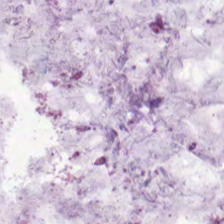Brightfield microscopy. Hematoxylin and eosin. 0.5 µm per pixel — Predominant tissue: mucus.
